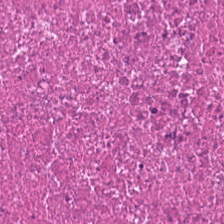224×224 px tile · hematoxylin and eosin · formalin-fixed paraffin-embedded section. Tissue class = debris.
